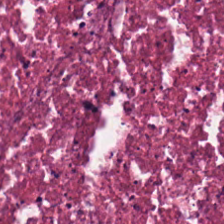H&E.
This field is cellular debris.
